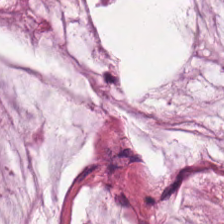0.5 µm/px · H&E-stained tissue section.
Classification = mucus.
